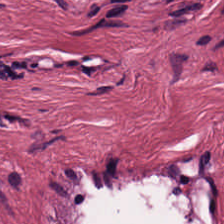Tissue type: tumor stroma.
